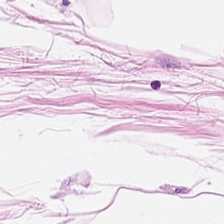H&E. Q: Identify the tissue.
A: Adipose.
